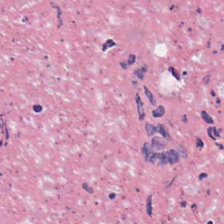Hematoxylin-and-eosin stained section. Whole-slide-image patch — Showing debris.
